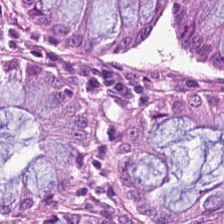Predominantly benign colonic mucosa.
